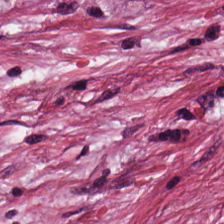Hematoxylin-and-eosin stained section.
The tissue here is tumor stroma.
